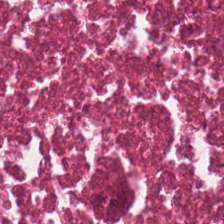H&E-stained tissue section; FFPE tissue section; brightfield microscopy. This field is cellular debris.
